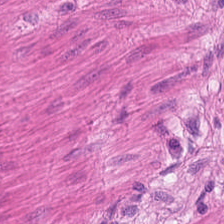H&E — Q: What tissue is shown?
A: Muscularis.
